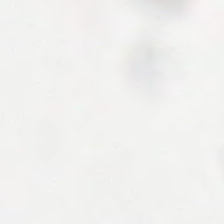This patch shows background.
